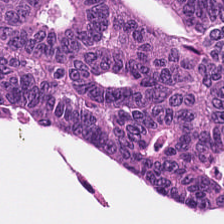H&E-stained tissue section · 0.5 µm per pixel. Q: Classify this patch.
A: It is adenocarcinoma.
